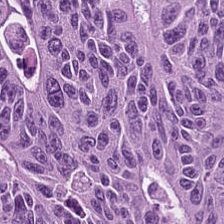Hematoxylin and eosin.
Q: What is shown in this field?
A: Adenocarcinoma.
